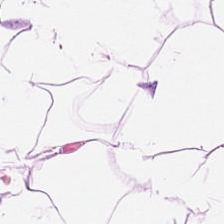WSI patch. H&E stain — Showing adipose tissue.
